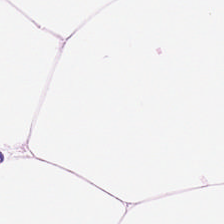Brightfield. H&E stain.
The predominant tissue is adipose tissue.
